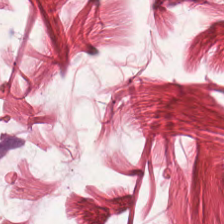Hematoxylin and eosin. Predominantly smooth-muscle tissue.
